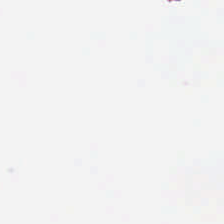H&E · FFPE tissue section · 0.5 µm/px. Field content — background (no tissue).
